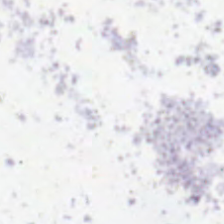The content is no tissue.
